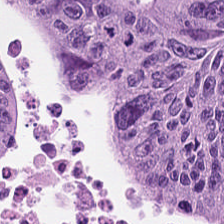FFPE. H&E-stained tissue section.
{"tissue_type": "tumor epithelium"}
